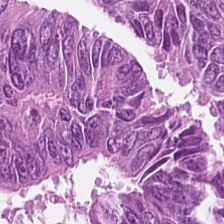Whole-slide-image patch · H&E.
The tissue here is tumor epithelium.
